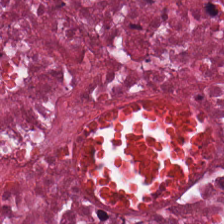Hematoxylin-and-eosin stained section.
Predominant tissue: cellular debris.
